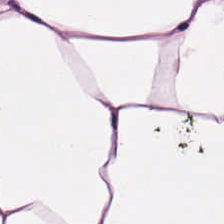H&E. Adipose.
